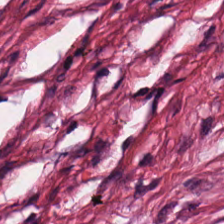Impression — tumor stroma.
